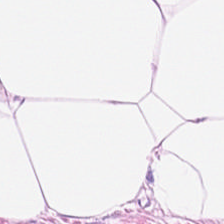H&E.
Fat tissue.
